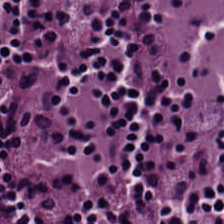The predominant tissue is lymphocyte aggregate.
